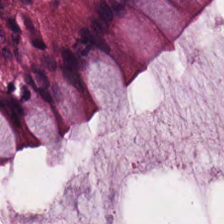WSI patch · H&E-stained tissue section. Showing non-neoplastic colon mucosa.
